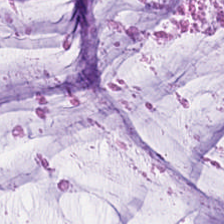Predominant tissue: mucin.
